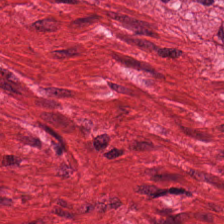FFPE · H&E-stained tissue section · WSI patch. Q: What tissue is shown?
A: This is smooth muscle.
